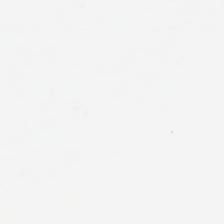Hematoxylin and eosin — This field is background (no tissue).
